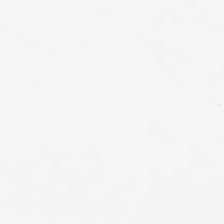H&E.
Content — empty background.
